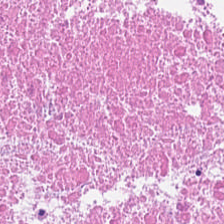224×224 px patch; whole-slide-image patch; hematoxylin and eosin.
This field is necrotic debris.
